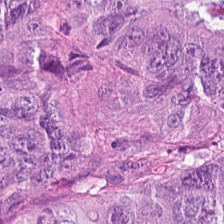Tissue = adenocarcinoma.
